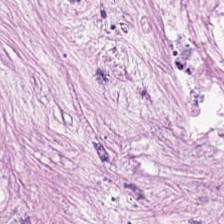Histology → desmoplastic stroma.
